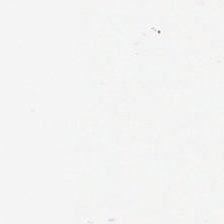Stain: hematoxylin and eosin.
Tile size: 224×224 px tile.
Content: empty background.
